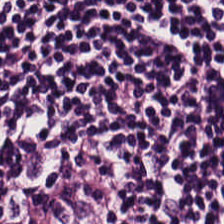H&E-stained tissue section. Lymphocytic infiltrate.
